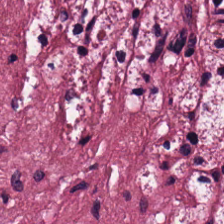The tissue here is tumor-associated stroma.
